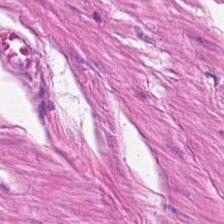0.5 microns per pixel; 224×224 px patch; H&E-stained tissue section — Smooth muscle.
